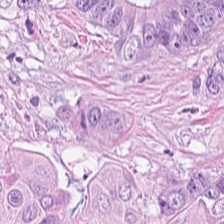Hematoxylin and eosin. FFPE.
Predominantly tumor epithelium.
